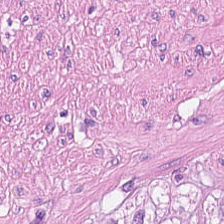FFPE tissue section; H&E stain; 224×224 pixel tile. Impression — smooth muscle.
